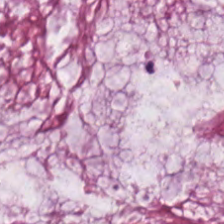Formalin-fixed paraffin-embedded section. Brightfield microscopy. H&E stain — Impression → extracellular mucin.
